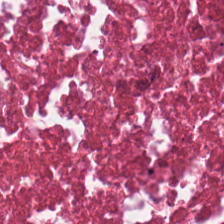Stain: H&E stain.
Tile size: 224×224 px tile.
Predominant tissue: debris.
